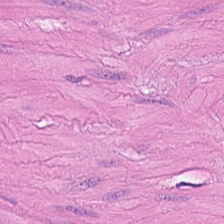H&E stain. The predominant tissue is smooth muscle.
